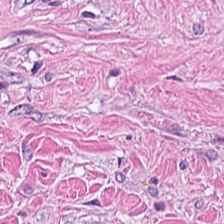H&E. The predominant tissue is desmoplastic stroma.
